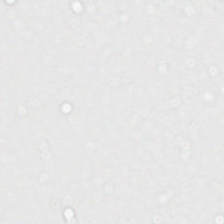0.5 µm per pixel. Hematoxylin and eosin. No tissue present; background only.
